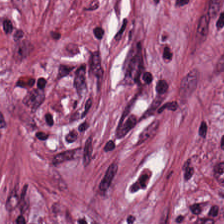H&E-stained tissue section. Q: What is shown in this field?
A: Tumor-associated stroma.
